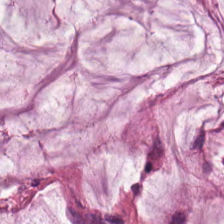H&E stain. Q: Classify this patch.
A: It is extracellular mucin.
